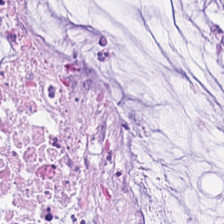H&E stain; WSI patch — This field is mucus.
